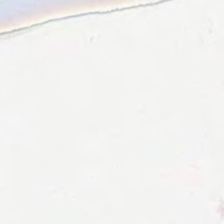H&E-stained tissue section. FFPE tissue section. 224×224 pixel tile. Empty field — empty background.
